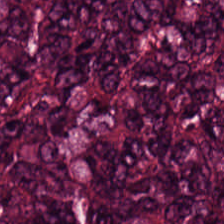H&E-stained tissue section.
Q: What tissue is shown?
A: It is colorectal adenocarcinoma.
